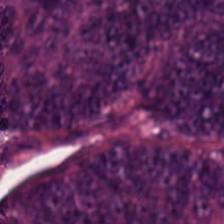Whole-slide-image patch. H&E. Q: Classify this patch.
A: The field shows colorectal adenocarcinoma.
